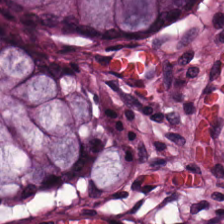H&E-stained tissue section.
Q: What does this patch show?
A: Non-neoplastic colon mucosa.
